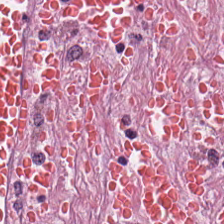224×224 px patch · H&E · brightfield. Classification — tumor-associated stroma.
